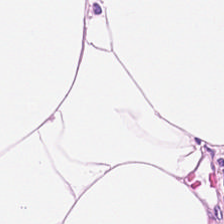Predominantly fat tissue.
